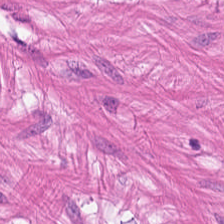Hematoxylin-and-eosin stained section.
Predominantly smooth-muscle tissue.
